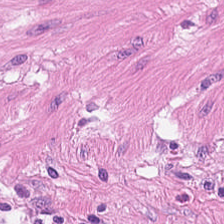Histology → smooth-muscle tissue.
